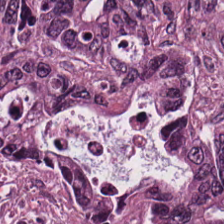Hematoxylin and eosin — Tissue class — adenocarcinoma.
